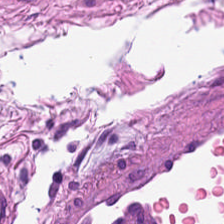0.5 µm per pixel; hematoxylin and eosin.
This patch shows smooth muscle.
